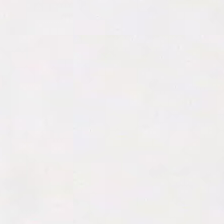Classification = background.
